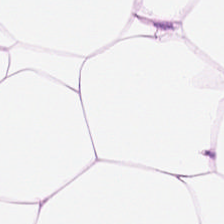Hematoxylin-and-eosin stained section.
Histology → adipose tissue.
